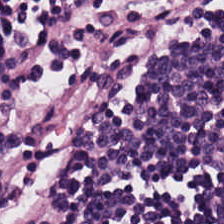H&E-stained tissue section showing lymphocytes.
